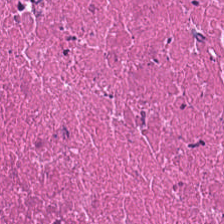Histology — cellular debris.
